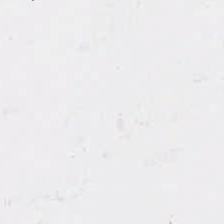Stain: hematoxylin and eosin.
Preparation: FFPE tissue section.
Field content: background (no tissue).
